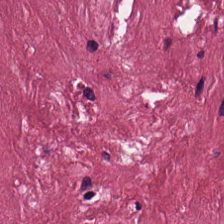Hematoxylin-and-eosin stained section.
Predominantly desmoplastic stroma.
